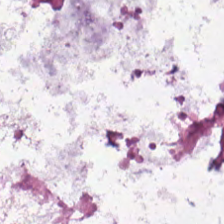Hematoxylin-and-eosin stained section. This field is mucin.
